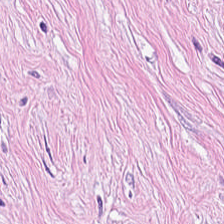H&E stain. This patch shows desmoplastic stroma.
